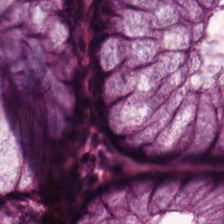H&E.
This field is normal colon mucosa.
